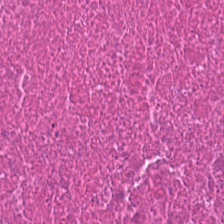H&E — Predominantly debris.
